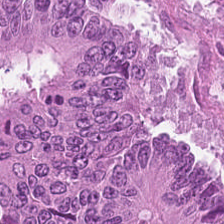20× equivalent magnification · hematoxylin and eosin — The predominant tissue is tumor epithelium.
